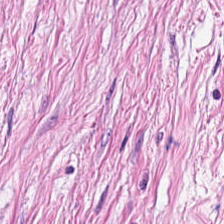Hematoxylin and eosin.
Q: Identify the tissue.
A: Desmoplastic stroma.
